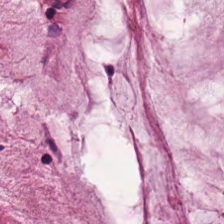The classification is mucin.
